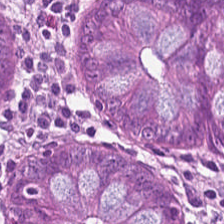Hematoxylin-and-eosin stained section — Tissue type: normal colon mucosa.
